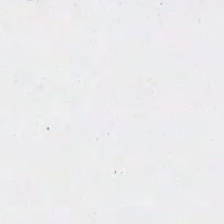Hematoxylin-and-eosin stained section — Content — no tissue.
